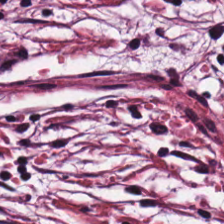Hematoxylin-and-eosin section: tumor stroma.
